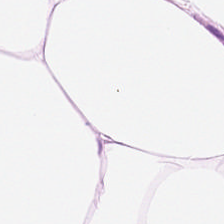Tissue class: fat tissue.
